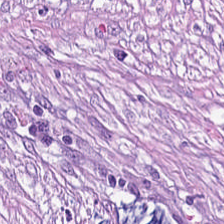224×224 pixel tile · 20× equivalent magnification · H&E-stained tissue section — Tissue class — tumor-associated stroma.
